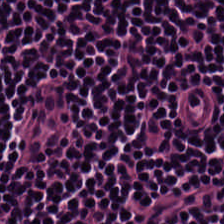Hematoxylin-and-eosin stained section — The tissue here is lymphocyte aggregate.
